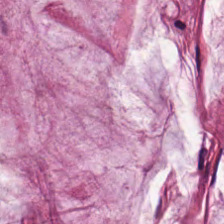Stain: H&E-stained tissue section.
Resolution: 0.5 µm per pixel.
Classification: extracellular mucin.
